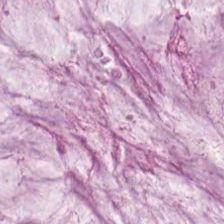H&E stain.
Q: What type of tissue is this?
A: Mucus.
